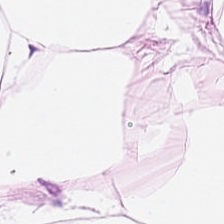H&E-stained tissue section — Finding — fat tissue.
